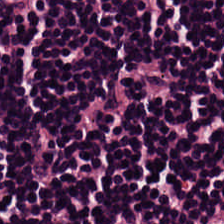Predominant tissue = lymphocytes.
